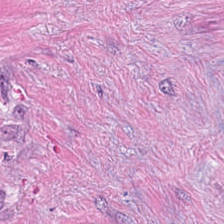Hematoxylin and eosin.
Tissue — tumor stroma.
